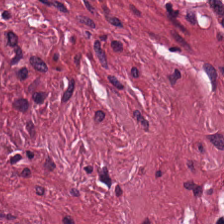224×224 pixel tile. H&E stain.
This patch shows cancer-associated stroma.
